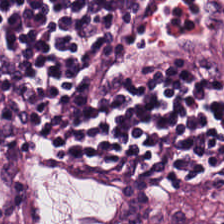Formalin-fixed paraffin-embedded section · H&E stain.
Predominantly lymphocytic infiltrate.
